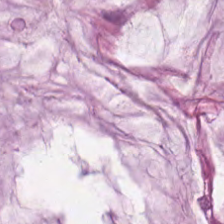Stain: hematoxylin and eosin.
Preparation: formalin-fixed paraffin-embedded section.
Acquisition: brightfield microscopy.
Predominant tissue: extracellular mucin.
